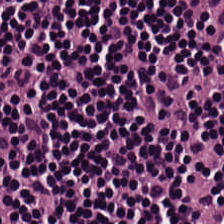H&E.
The tissue class is lymphocytic infiltrate.
